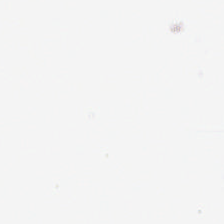H&E.
This patch shows no tissue.
